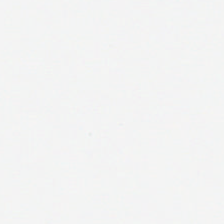H&E; brightfield microscopy — Background — no tissue in this field.
